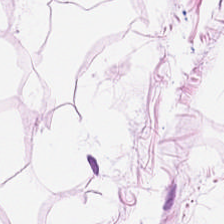H&E stain · brightfield.
Adipocytes.
